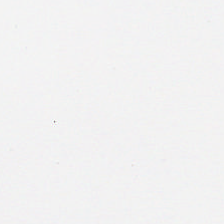The content is empty background.
